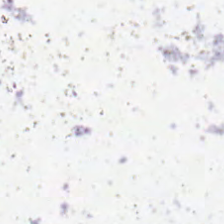Hematoxylin-and-eosin stained section · FFPE. Finding → no tissue.
